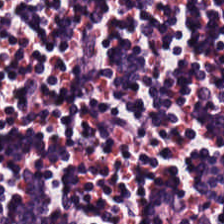Whole-slide-image patch · hematoxylin-and-eosin stained section — {"tissue_type": "lymphocytes"}
